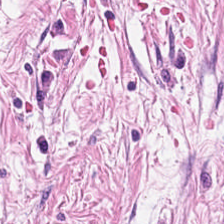Hematoxylin and eosin. 224×224 pixel tile.
Q: What is shown in this field?
A: It is cancer-associated stroma.
